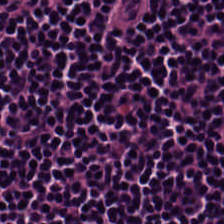H&E-stained tissue section.
Finding — lymphoid infiltrate.
